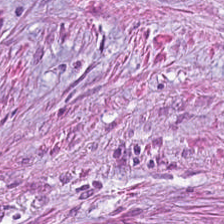H&E stain. Showing tumor-associated stroma.
